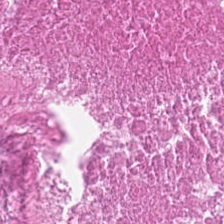H&E stain.
Showing debris.
